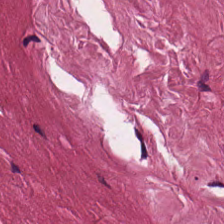Hematoxylin and eosin; formalin-fixed paraffin-embedded section; 224×224 pixel tile.
The tissue is tumor stroma.
